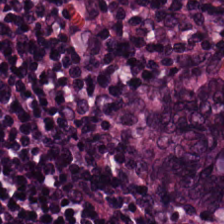Tissue class = lymphocytes.
